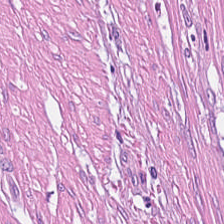H&E.
Tissue class = cancer-associated stroma.
